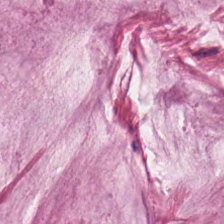Brightfield; H&E stain.
Q: Classify this patch.
A: This is mucin.
